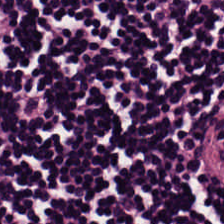H&E-stained tissue section — The classification is lymphocytic infiltrate.
